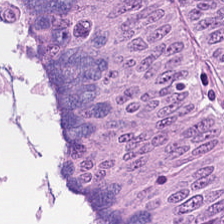H&E; brightfield. Tissue: colorectal adenocarcinoma.
